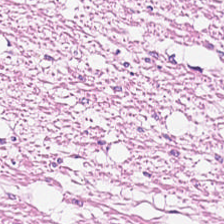Stain: hematoxylin-and-eosin stained section.
Tissue: smooth muscle.
